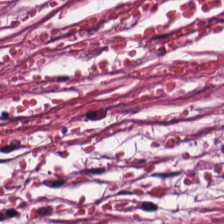H&E stain. Tissue — desmoplastic stroma.
